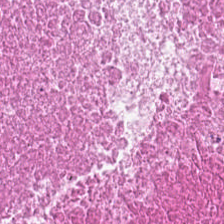0.5 µm/px; 224×224 px tile; H&E-stained tissue section. Histology → debris.
